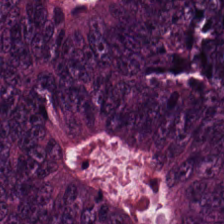Classification = malignant epithelium.
